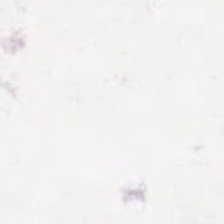Stain: hematoxylin and eosin.
Classification: background.
